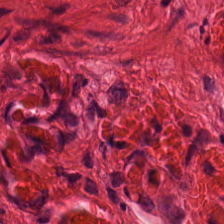0.5 microns per pixel; H&E.
The tissue type is smooth muscle.
